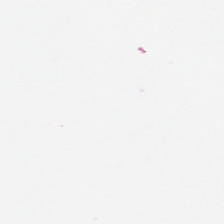Q: What is shown in this field?
A: Background (no tissue).
